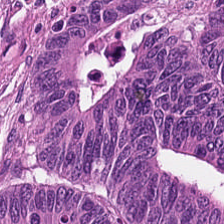H&E-stained tissue section. {"tissue_type": "colorectal adenocarcinoma"}
